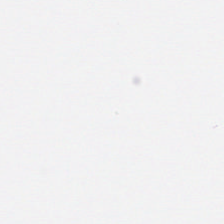Background (no tissue).
